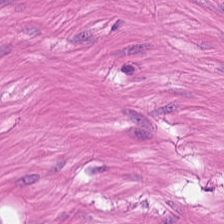H&E-stained tissue section.
Showing muscularis.
